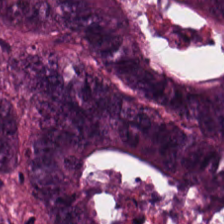Formalin-fixed paraffin-embedded section · hematoxylin-and-eosin stained section — Finding → colorectal adenocarcinoma.
